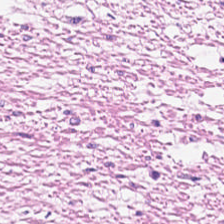H&E stain; WSI patch — Tissue class = smooth muscle.
